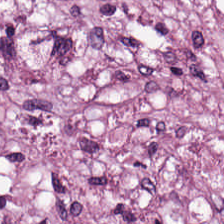Hematoxylin-and-eosin stained section. 0.5 microns per pixel. Brightfield microscopy. Histology — cancer-associated stroma.
